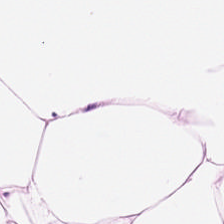H&E stain. 224×224 px patch.
This patch shows fat tissue.
